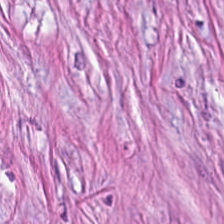Hematoxylin-and-eosin section: tumor-associated stroma.
